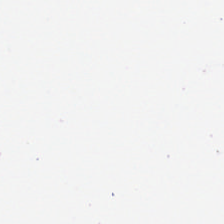This patch shows background.
